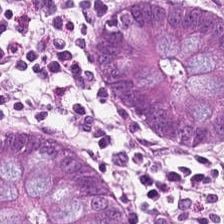Impression → benign colonic mucosa.
